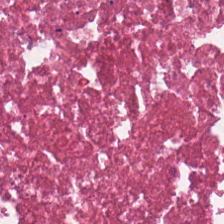Hematoxylin-and-eosin stained section — Predominant tissue: cellular debris.
